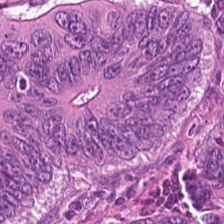H&E. Q: What tissue type is shown here?
A: The field shows colorectal adenocarcinoma epithelium.
